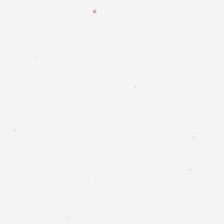H&E stain. 0.5 microns per pixel. Q: What is shown in this field?
A: The field shows background.
